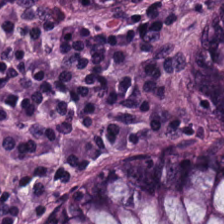Brightfield. H&E. 20× equivalent magnification. The predominant tissue is non-neoplastic colon mucosa.
